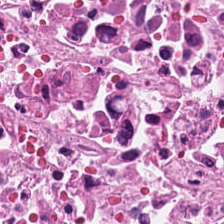Predominantly debris.
